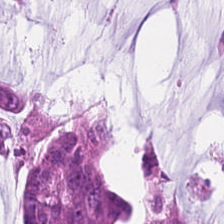Brightfield. FFPE. H&E — Tissue type — mucus.
